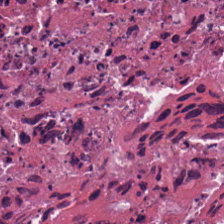Hematoxylin and eosin. Formalin-fixed paraffin-embedded section. The predominant tissue is debris.
